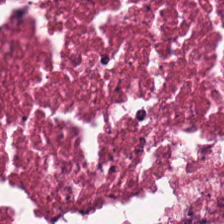H&E. Classification: cellular debris.
